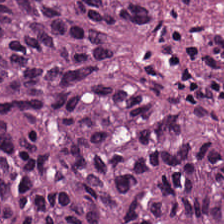Malignant epithelium.
